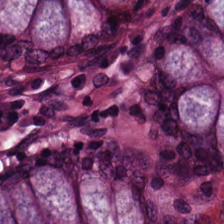H&E stain. Whole-slide-image patch — Q: What type of tissue is this?
A: Normal colonic mucosa.
